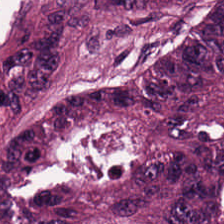Stain: H&E.
Classification: colorectal adenocarcinoma epithelium.
